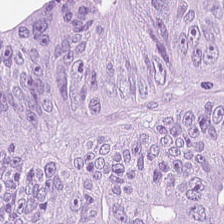H&E-stained tissue section · brightfield.
Predominantly adenocarcinoma.
